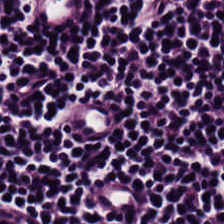Hematoxylin-and-eosin stained section.
Showing lymphocytic infiltrate.
